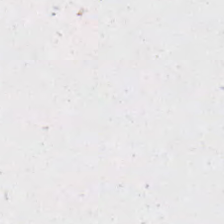224×224 pixel tile. 0.5 microns per pixel. Hematoxylin and eosin. Q: What is shown in this field?
A: Background (no tissue).
